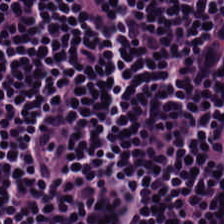Whole-slide-image patch; hematoxylin and eosin.
The predominant tissue is lymphoid infiltrate.
